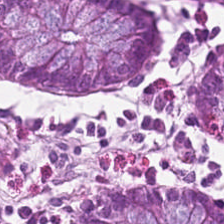Brightfield microscopy. Hematoxylin and eosin. Q: Classify this patch.
A: The field shows benign colonic mucosa.
